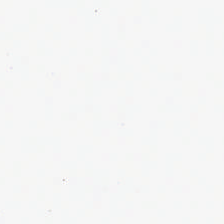Stain: hematoxylin-and-eosin stained section.
Resolution: 0.5 µm/px.
Field content: no tissue.
